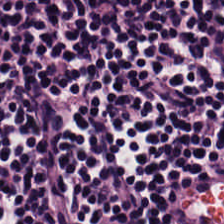H&E-stained tissue section. 224×224 px tile.
Lymphoid infiltrate.
